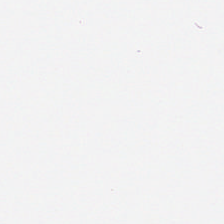H&E; 224×224 px patch — Empty field — no tissue.
